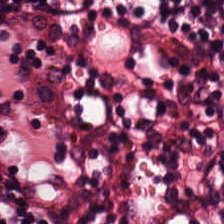H&E. 224×224 px patch. 0.5 microns per pixel — Showing lymphocytic infiltrate.
